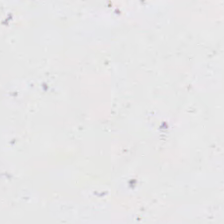Classification: empty background.
